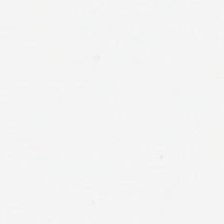Hematoxylin-and-eosin stained section; 224×224 pixel tile.
Empty background.
